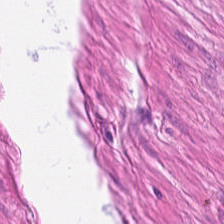Brightfield · 20× equivalent magnification · H&E.
Tissue class = smooth muscle.
